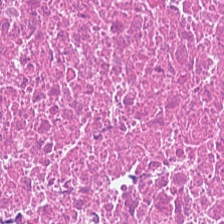H&E. The predominant tissue is debris.
